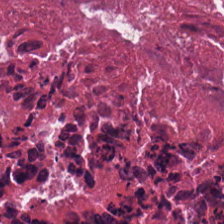Hematoxylin and eosin. Q: Identify the tissue.
A: The field shows debris.
